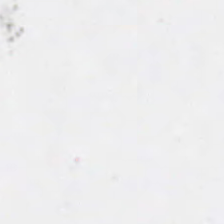Hematoxylin-and-eosin stained section — This field is background (no tissue).
